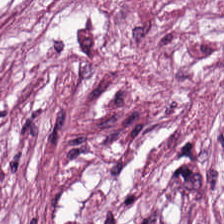H&E-stained tissue section. FFPE tissue section. 20× equivalent magnification — Showing tumor stroma.
